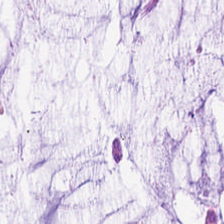H&E stain · FFPE. Tissue: mucus.
